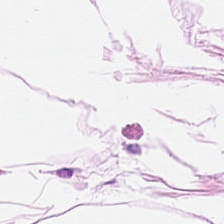H&E. The tissue here is adipocytes.
